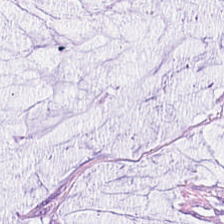Stain: H&E-stained tissue section.
Tissue: mucin.
